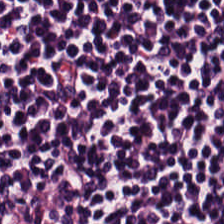Classification = lymphocytic infiltrate.
